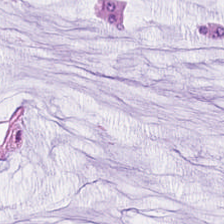This patch shows extracellular mucin.
